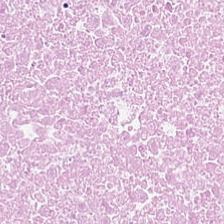224×224 pixel tile; formalin-fixed paraffin-embedded section; hematoxylin-and-eosin stained section. Showing cellular debris.
